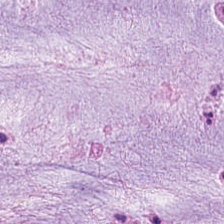H&E-stained tissue section. Showing extracellular mucin.
